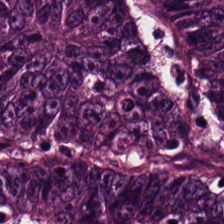Hematoxylin-and-eosin stained section · 0.5 microns per pixel. Tissue: colorectal adenocarcinoma epithelium.
